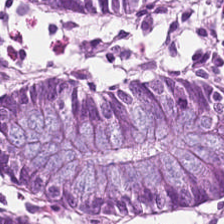H&E. 224×224 px patch. 20× equivalent magnification. Showing benign colonic mucosa.
